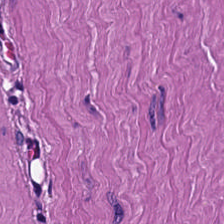Hematoxylin and eosin. Brightfield microscopy. The predominant tissue is muscularis.
